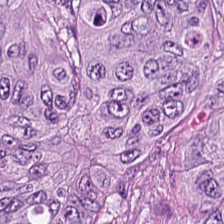Hematoxylin-and-eosin stained section. {"tissue_type": "tumor epithelium"}
